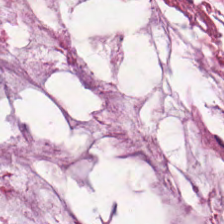FFPE tissue section · brightfield · H&E stain. Predominant tissue: mucin.
